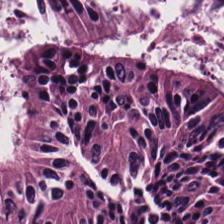Adenocarcinoma.
